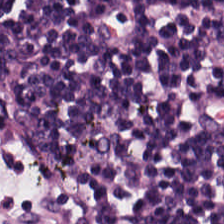Stain: H&E-stained tissue section.
Classification: lymphocyte aggregate.
